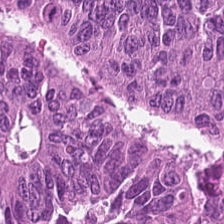H&E-stained tissue section.
{"tissue_type": "adenocarcinoma"}
